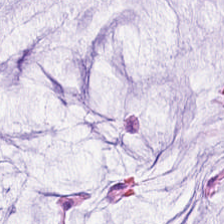H&E — The tissue class is mucus.
